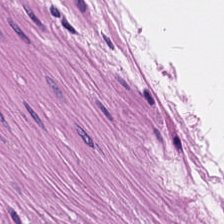Hematoxylin and eosin; brightfield; 0.5 microns per pixel.
Finding — smooth muscle.
